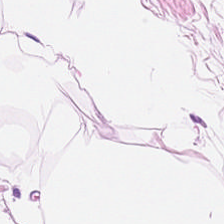The tissue type is adipocytes.
